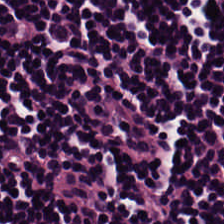H&E; brightfield microscopy — Tissue class — lymphocytic infiltrate.
